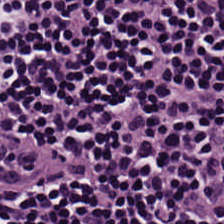Stain: hematoxylin-and-eosin stained section.
Classification: lymphocytic infiltrate.
